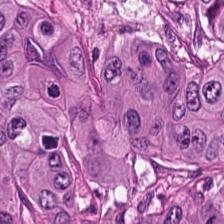FFPE. Hematoxylin and eosin. Tissue: tumor epithelium.
